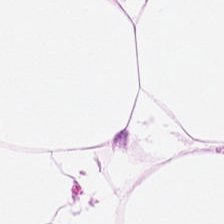FFPE tissue section · H&E. Classification — fat tissue.
